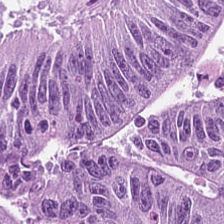Tissue class = tumor epithelium.
